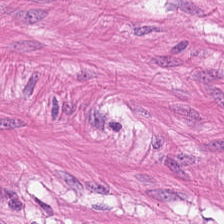Stain: hematoxylin and eosin.
Classification: smooth-muscle tissue.
